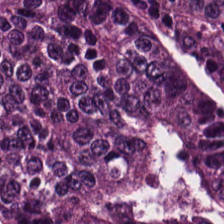H&E.
Showing colorectal adenocarcinoma.
